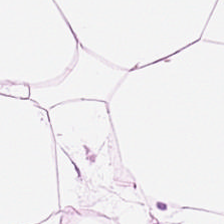Stain: hematoxylin and eosin.
Classification: adipocytes.
